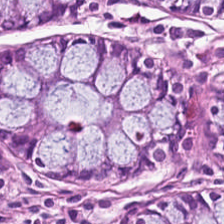H&E-stained tissue section. Predominant tissue = benign colonic mucosa.
